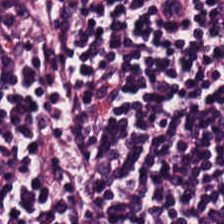224×224 pixel tile · H&E. Lymphocytes.
